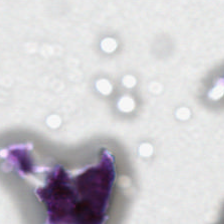Stain: hematoxylin-and-eosin stained section.
Resolution: 0.5 microns per pixel.
Content: empty background.
